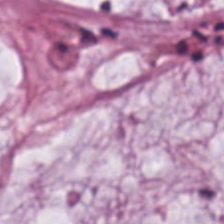Brightfield microscopy. Hematoxylin and eosin — This patch shows extracellular mucin.
